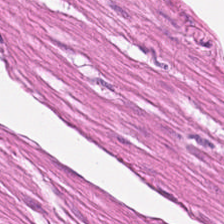H&E. Q: What tissue type is shown here?
A: The field shows smooth muscle.
